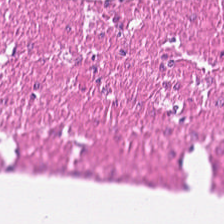Stain: hematoxylin and eosin.
Predominant tissue: smooth-muscle tissue.
